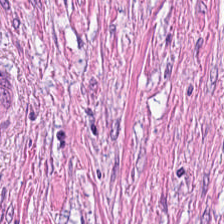Hematoxylin and eosin · 224×224 px patch — Q: Classify this patch.
A: The field shows tumor-associated stroma.
